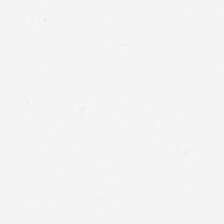Hematoxylin-and-eosin stained section. 224×224 pixel tile — Q: What is shown here?
A: The field shows background.
